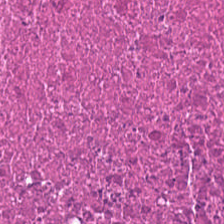Whole-slide-image patch; hematoxylin-and-eosin stained section. Predominant tissue: cellular debris.
